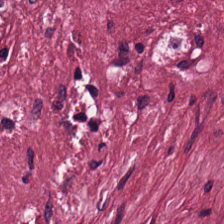Hematoxylin and eosin. Impression → tumor stroma.
